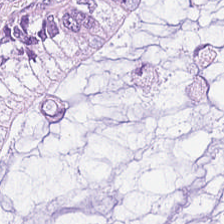H&E. Whole-slide-image patch. Q: What tissue is shown?
A: Mucus.
